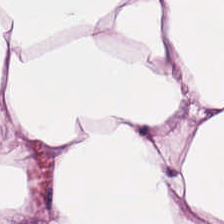Hematoxylin and eosin; whole-slide-image patch — Q: What is shown in this field?
A: It is adipose tissue.
